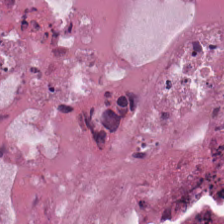H&E stain. 0.5 microns per pixel. Formalin-fixed paraffin-embedded section.
Q: What tissue is shown?
A: It is debris.
